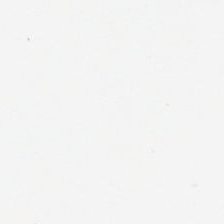Stain: hematoxylin-and-eosin stained section.
Classification: no tissue.
